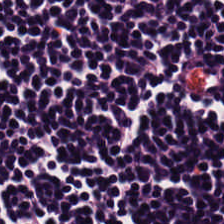Impression → lymphocyte aggregate.
